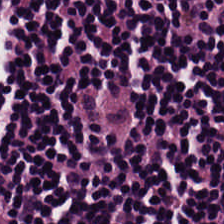H&E-stained tissue section; 224×224 pixel tile.
Showing lymphocyte aggregate.
